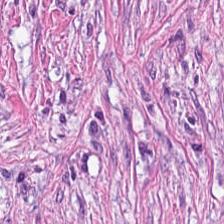H&E stain — This patch shows desmoplastic stroma.
